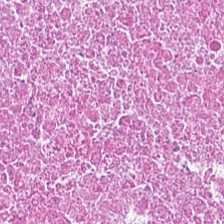H&E. 224×224 pixel tile. 0.5 µm per pixel — Tissue — necrotic debris.
